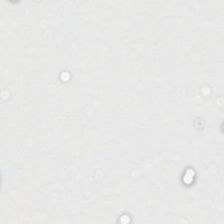H&E-stained tissue section. Q: What is shown in this field?
A: The field shows background (no tissue).
